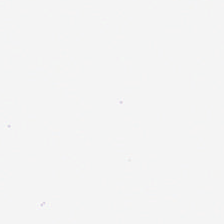Classification — empty background.
